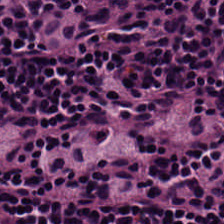Q: Classify this patch.
A: It is lymphocyte aggregate.
